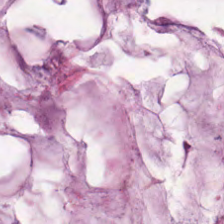0.5 µm per pixel · H&E-stained tissue section — This field is mucin.
